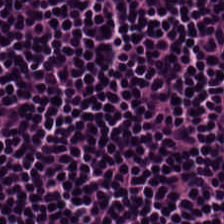Stain: hematoxylin-and-eosin stained section.
Tissue type: lymphoid infiltrate.
